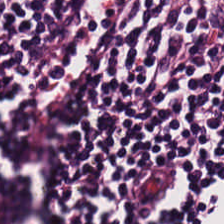H&E-stained tissue section. Q: What type of tissue is this?
A: It is lymphocytic infiltrate.
